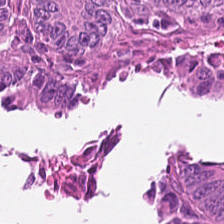Stain: hematoxylin-and-eosin stained section.
Classification: malignant epithelium.
